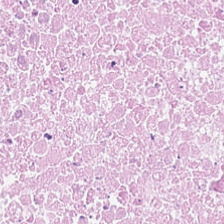H&E patch showing necrotic debris.
